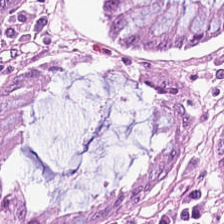224×224 px tile · hematoxylin and eosin — Finding → normal colon mucosa.
